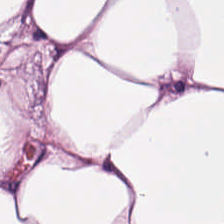0.5 microns per pixel · whole-slide-image patch · H&E.
Adipose.
